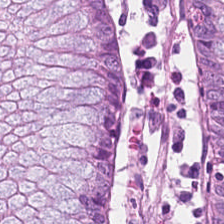H&E-stained tissue section.
Impression → normal colon mucosa.
